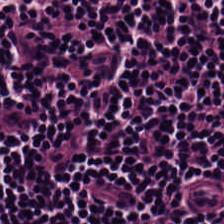Stain: hematoxylin-and-eosin stained section.
Classification: lymphoid infiltrate.
